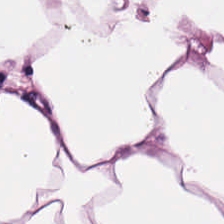Fat tissue.
